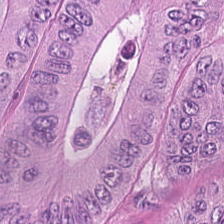H&E-stained tissue section — This patch shows tumor epithelium.
